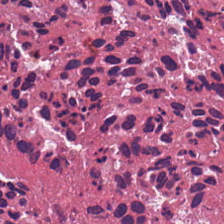Stain: H&E stain.
Tissue class: necrotic debris.
